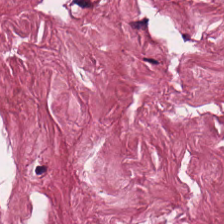H&E. FFPE. WSI patch.
Predominantly desmoplastic stroma.
